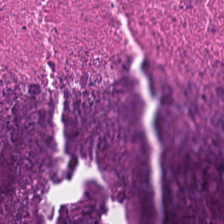Hematoxylin and eosin.
This patch shows cellular debris.
